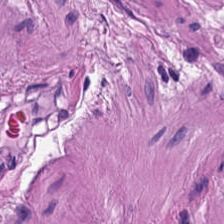FFPE tissue section · H&E-stained tissue section.
{"tissue_type": "smooth muscle"}
